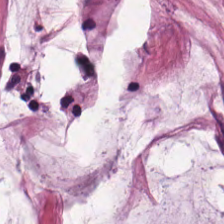Stain: hematoxylin and eosin.
Predominant tissue: mucin.
